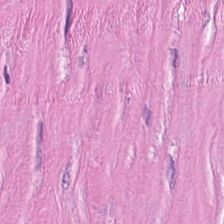Stain: H&E-stained tissue section.
Classification: tumor-associated stroma.
